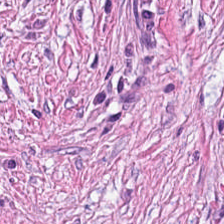The tissue class is tumor-associated stroma.
